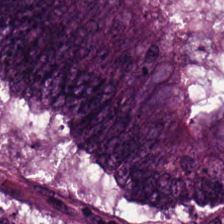Stain: H&E stain.
Acquisition: brightfield.
Tissue class: colorectal adenocarcinoma epithelium.
